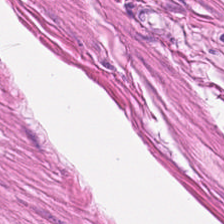Stain: hematoxylin and eosin.
Tissue: muscularis.
